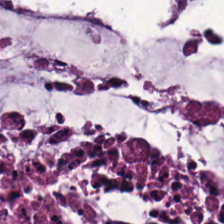Classification — extracellular mucin.
